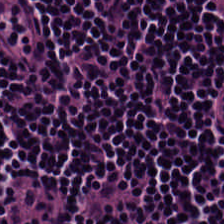{"tissue_type": "lymphocytes"}
